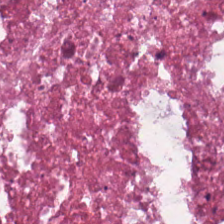{"tissue_type": "cellular debris"}
